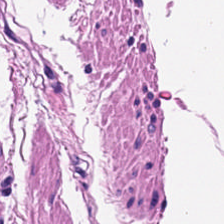Hematoxylin-and-eosin stained section — Smooth muscle.
